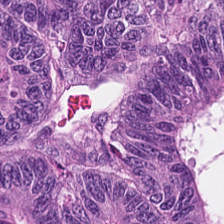Stain: hematoxylin-and-eosin stained section.
Tissue class: malignant epithelium.
